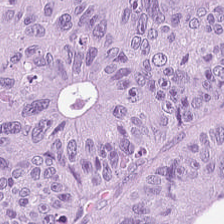Histology → malignant epithelium.
